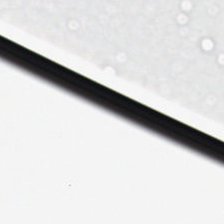Hematoxylin-and-eosin stained section. This field is background (no tissue).
